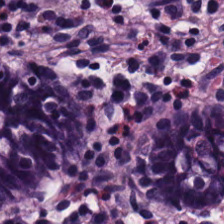Hematoxylin-and-eosin stained section — Predominantly non-neoplastic colon mucosa.
